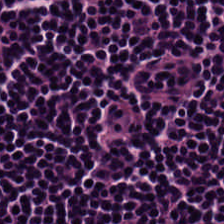Hematoxylin and eosin. 0.5 µm/px — The tissue class is lymphoid infiltrate.
